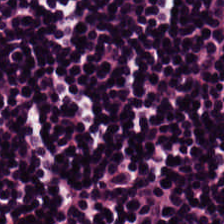224×224 px tile; H&E.
Tissue type — lymphocytes.
